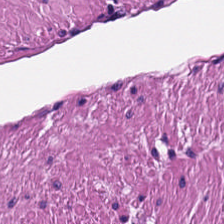Hematoxylin and eosin; 20× equivalent magnification.
Tissue type = muscularis.
